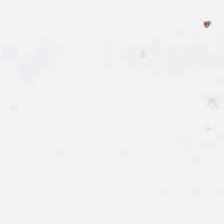FFPE; H&E-stained tissue section.
Histology — empty background.
